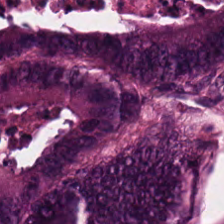H&E. FFPE. WSI patch — This patch shows colorectal adenocarcinoma.
